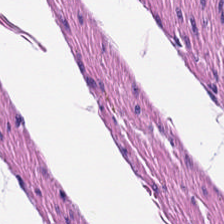H&E stain. 224×224 pixel tile — {"tissue_type": "smooth-muscle tissue"}
